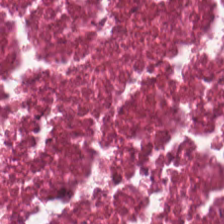H&E-stained tissue section; FFPE. Showing necrotic debris.
